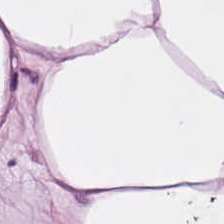H&E-stained tissue section.
Histology — adipose.
